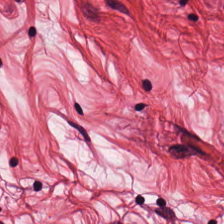H&E-stained tissue section — Showing smooth-muscle tissue.
